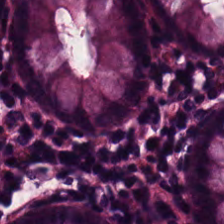Stain: H&E stain.
Tissue class: normal colon mucosa.
